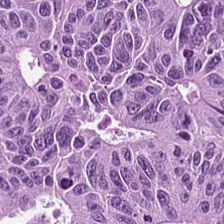Showing colorectal adenocarcinoma.
